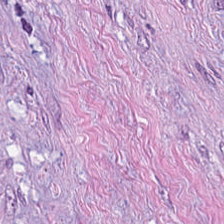Whole-slide-image patch. H&E-stained tissue section — Q: Classify this patch.
A: This is tumor stroma.
